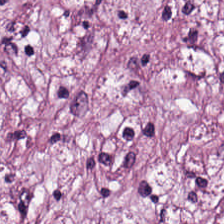The tissue here is cancer-associated stroma.
